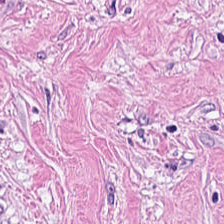H&E — Q: What is shown here?
A: Tumor stroma.
